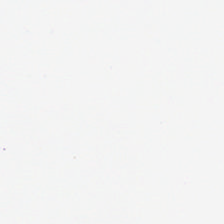H&E.
This field is background (no tissue).
